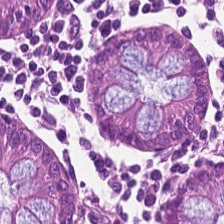Stain: hematoxylin-and-eosin stained section.
Acquisition: WSI patch.
Tissue: normal colonic mucosa.
